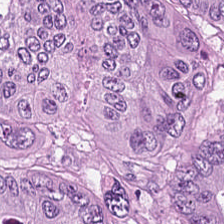Hematoxylin and eosin. WSI patch — This field is colorectal adenocarcinoma.
